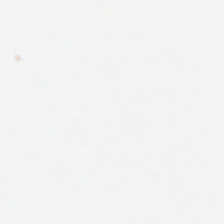Q: What is shown in this field?
A: This is background (no tissue).
